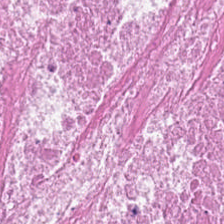Hematoxylin-and-eosin stained section. Brightfield microscopy.
This field is necrotic debris.
